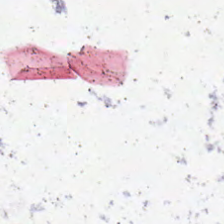Stain: H&E.
Classification: no tissue.
